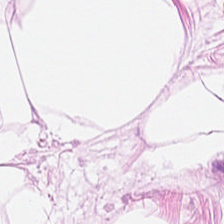Hematoxylin-and-eosin stained section. Tissue type: adipose tissue.
